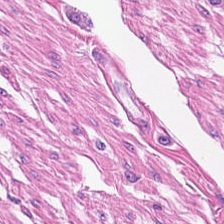FFPE. H&E stain. This field is smooth-muscle tissue.
